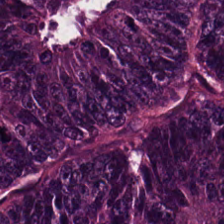Hematoxylin-and-eosin stained section. Q: What is the predominant tissue type?
A: This is adenocarcinoma.
